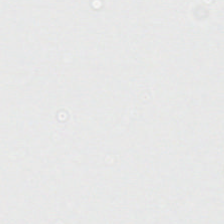Field content: empty background.
